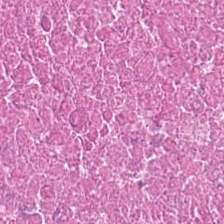Hematoxylin and eosin. 224×224 px patch.
Histology → cellular debris.
